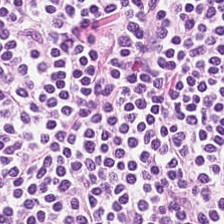FFPE tissue section. H&E. Whole-slide-image patch — Lymphocytic infiltrate.
